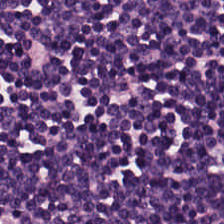Impression → lymphoid infiltrate.
